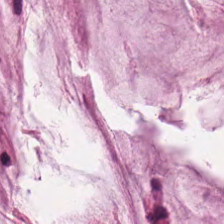Hematoxylin and eosin. Tissue: mucus.
